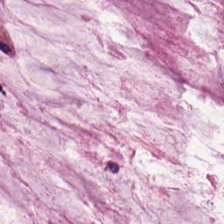H&E. 224×224 px patch. FFPE — Tissue class — mucin.
